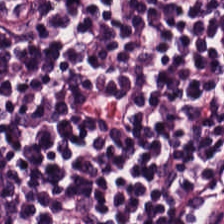H&E. Lymphocytic infiltrate.
